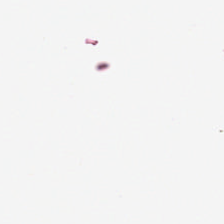WSI patch · hematoxylin and eosin. The classification is background.
